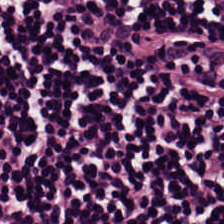224×224 px patch; brightfield; H&E stain.
Predominantly lymphoid infiltrate.
